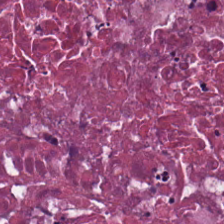Brightfield microscopy; H&E.
Finding — necrotic debris.
